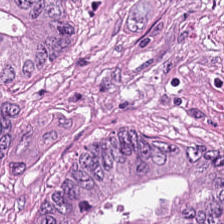This field is colorectal adenocarcinoma.
